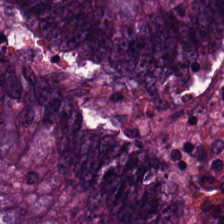Hematoxylin-and-eosin stained section. Showing adenocarcinoma.
